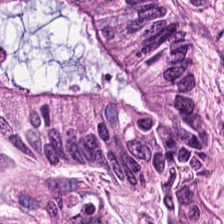Hematoxylin-and-eosin stained section.
Predominantly tumor epithelium.
